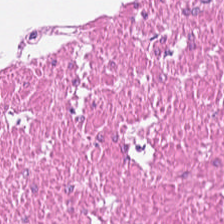Stain: H&E.
Tissue class: smooth-muscle tissue.
